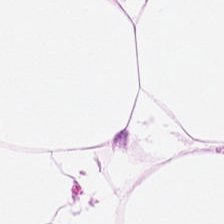FFPE tissue section; hematoxylin-and-eosin stained section — Impression — adipose tissue.
